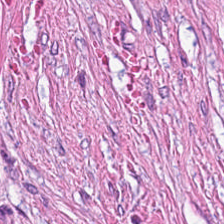0.5 µm per pixel; H&E stain. Q: What tissue type is shown here?
A: The field shows tumor stroma.
